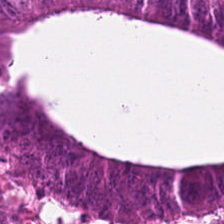0.5 µm/px; 224×224 px tile; H&E-stained tissue section — Q: What is shown in this field?
A: The field shows tumor epithelium.
